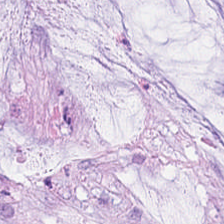Tissue — extracellular mucin.
